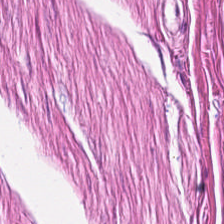The predominant tissue is smooth muscle.
